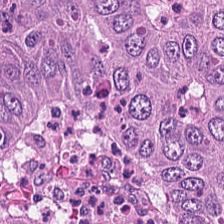H&E — Classification = malignant epithelium.
